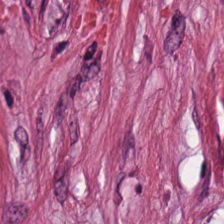H&E stain.
Histology → cancer-associated stroma.
